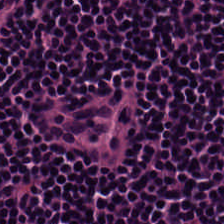Hematoxylin-and-eosin stained section. FFPE tissue section. 0.5 µm per pixel. The predominant tissue is lymphoid infiltrate.
